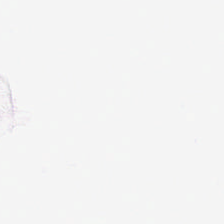224×224 pixel tile · H&E stain — Empty field — empty background.
